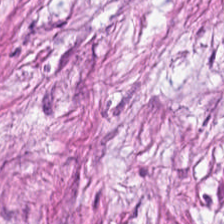224×224 pixel tile. H&E. Q: Classify this patch.
A: It is desmoplastic stroma.
